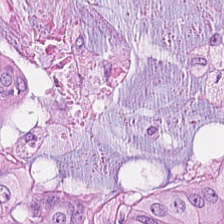H&E · 20× equivalent magnification. Q: What tissue is shown?
A: This is colorectal adenocarcinoma.
